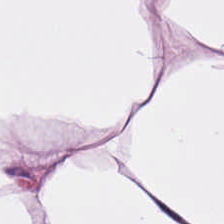H&E-stained tissue section; FFPE; brightfield microscopy. This patch shows adipose tissue.
